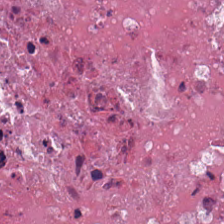Hematoxylin-and-eosin section: cellular debris.
